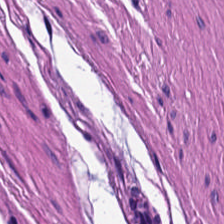H&E stain. {"tissue_type": "smooth-muscle tissue"}
